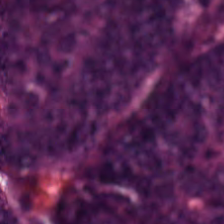H&E — Finding — malignant epithelium.
